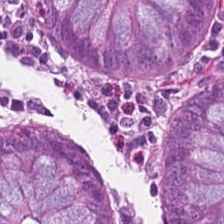0.5 µm per pixel · H&E-stained tissue section — Showing normal colonic mucosa.
